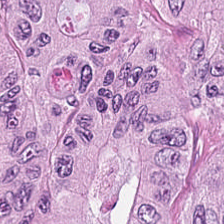This field is adenocarcinoma.
